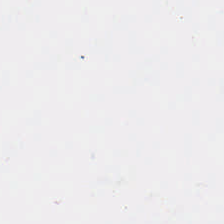H&E stain — Q: What does this patch show?
A: It is background (no tissue).
